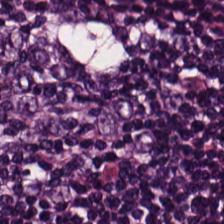H&E-stained tissue section.
Classification: lymphocyte aggregate.
